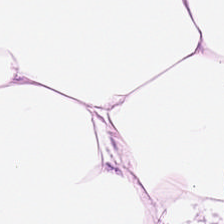224×224 pixel tile; H&E; brightfield microscopy.
The tissue here is adipose.
